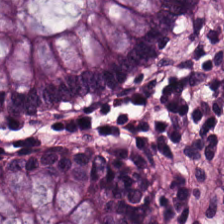Stain: hematoxylin and eosin.
Tissue type: normal colonic mucosa.
